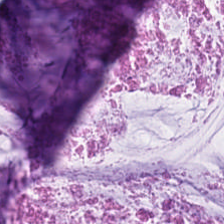Stain: hematoxylin and eosin.
Tile size: 224×224 pixel tile.
Acquisition: WSI patch.
Classification: mucin.
